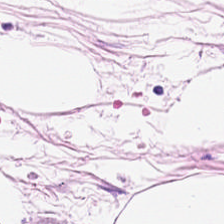Formalin-fixed paraffin-embedded section. H&E stain — Q: Classify this patch.
A: The field shows fat tissue.
